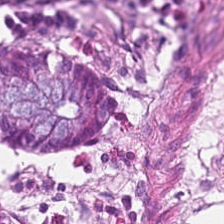Q: What is shown in this field?
A: It is normal colonic mucosa.
